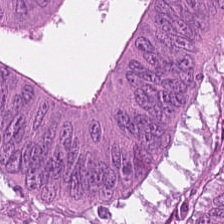H&E.
This field is adenocarcinoma.
